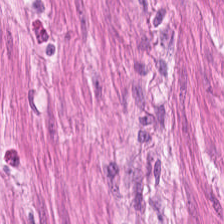H&E. Predominantly muscularis.
